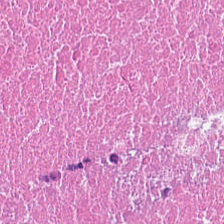Tissue type = debris.
